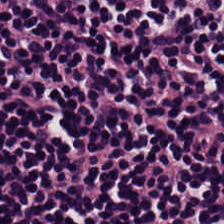WSI patch · H&E. This field is lymphocytic infiltrate.
